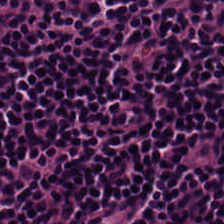Q: What is shown in this field?
A: Lymphoid infiltrate.
